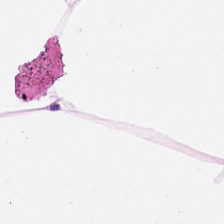Stain: hematoxylin-and-eosin stained section.
Classification: adipose.
